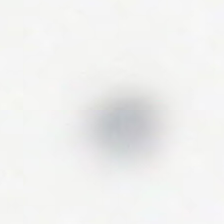Q: Classify this patch.
A: Empty background.
